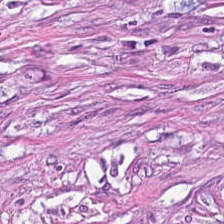H&E stain · 0.5 µm per pixel.
The predominant tissue is tumor-associated stroma.
